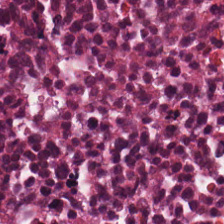0.5 µm/px; hematoxylin and eosin — Classification — debris.
